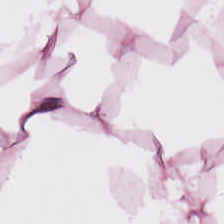224×224 pixel tile. H&E stain — Q: What tissue is shown?
A: It is adipocytes.
